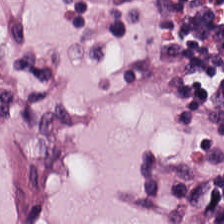Tissue = lymphocytes.
